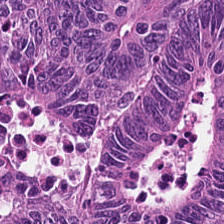H&E — Impression → adenocarcinoma.
